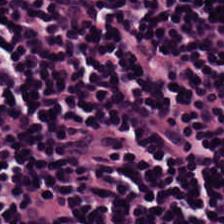224×224 px patch · hematoxylin and eosin · FFPE. Tissue type: lymphocytes.
